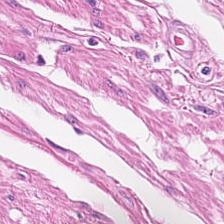H&E. FFPE. {"tissue_type": "muscularis"}
